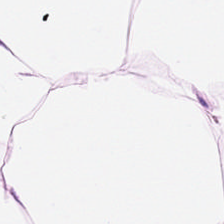Classification: fat tissue.
